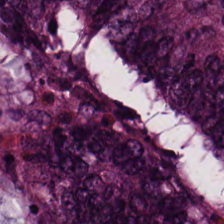H&E · FFPE.
Tissue class = colorectal adenocarcinoma.
